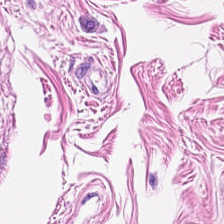Stain: hematoxylin and eosin.
Tissue class: smooth-muscle tissue.
